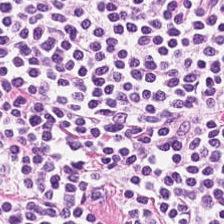H&E-stained tissue section · 0.5 µm per pixel.
The tissue here is lymphocyte aggregate.
